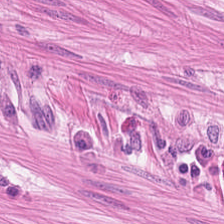Hematoxylin-and-eosin stained section — Showing smooth-muscle tissue.
